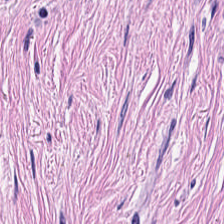Hematoxylin-and-eosin stained section; 224×224 px tile. The tissue here is tumor stroma.
